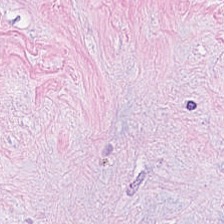H&E.
Q: What does this patch show?
A: It is tumor stroma.
